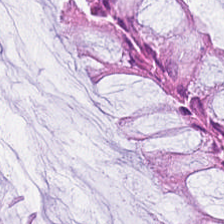FFPE tissue section; H&E; 224×224 pixel tile. Finding — normal colonic mucosa.
